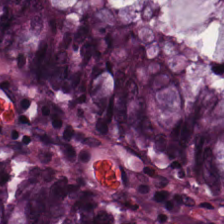Showing benign colonic mucosa.
